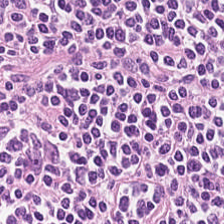Lymphocytic infiltrate.
